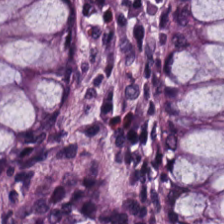FFPE tissue section · hematoxylin-and-eosin stained section · 224×224 pixel tile. This patch shows benign colonic mucosa.
